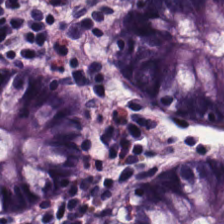Predominantly normal colon mucosa.
